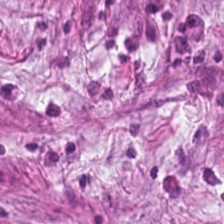Brightfield microscopy; H&E-stained tissue section; 0.5 microns per pixel. The tissue type is tumor-associated stroma.
